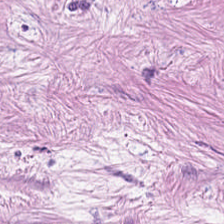H&E.
Impression — tumor-associated stroma.
